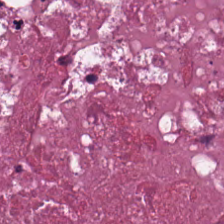H&E stain.
Showing necrotic debris.
